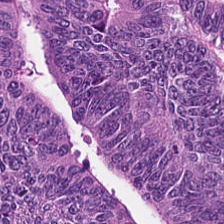Q: Identify the tissue.
A: It is tumor epithelium.
